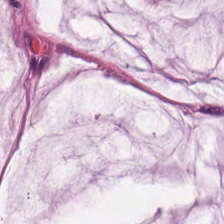Hematoxylin-and-eosin stained section. 20× equivalent magnification. Impression — mucin.
